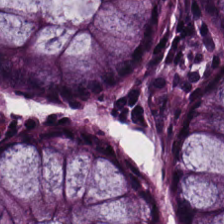Tissue class: non-neoplastic colon mucosa.
